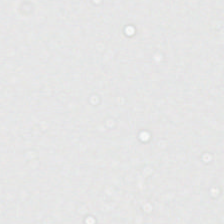Formalin-fixed paraffin-embedded section. H&E — Empty field — empty background.
